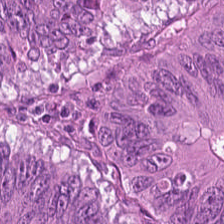Brightfield microscopy. H&E-stained tissue section. Predominantly colorectal adenocarcinoma.
